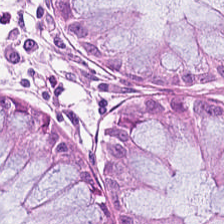Tissue — normal colon mucosa.
